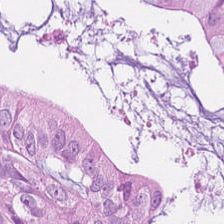Classification — colorectal adenocarcinoma epithelium.
